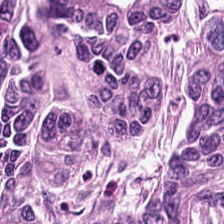H&E stain. FFPE.
Tissue = malignant epithelium.
